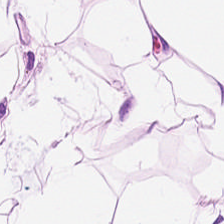224×224 px patch · hematoxylin-and-eosin stained section.
Classification — adipose.
